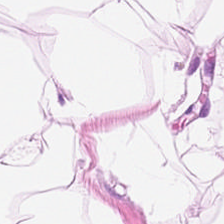H&E stain.
Predominantly fat tissue.
